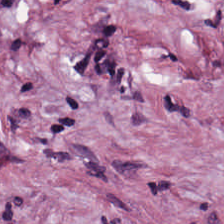Showing tumor stroma.
